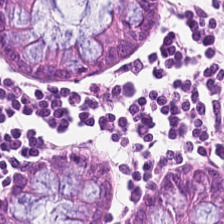20× equivalent magnification; H&E-stained tissue section.
Q: What is shown in this field?
A: It is normal colon mucosa.
